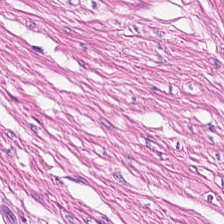Stain: H&E-stained tissue section.
Tile size: 224×224 pixel tile.
Classification: smooth muscle.
